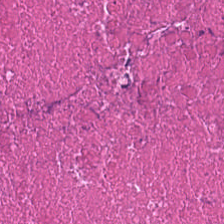H&E. The predominant tissue is debris.
